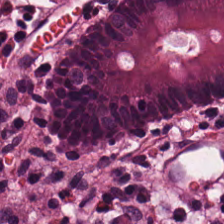Hematoxylin and eosin — The predominant tissue is normal colonic mucosa.
